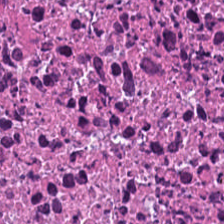Predominantly debris.
